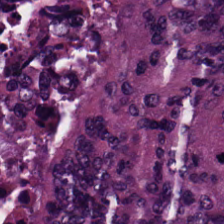20× equivalent magnification; hematoxylin and eosin — Tissue class: colorectal adenocarcinoma.
